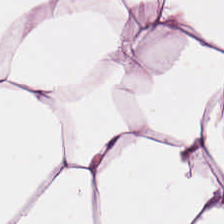{"tissue_type": "adipocytes"}
